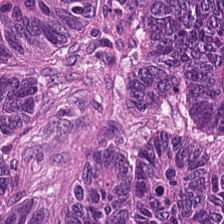H&E-stained tissue section — Tissue type = tumor epithelium.
